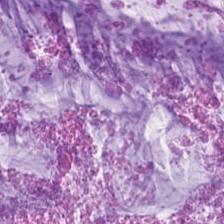0.5 µm per pixel; hematoxylin and eosin; FFPE tissue section. {"tissue_type": "mucus"}
